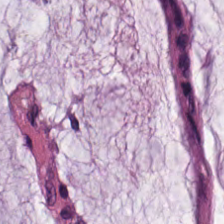Hematoxylin and eosin. Q: Classify this patch.
A: It is extracellular mucin.
